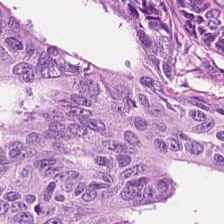Stain: hematoxylin and eosin.
Resolution: 0.5 µm per pixel.
Tissue class: colorectal adenocarcinoma epithelium.
